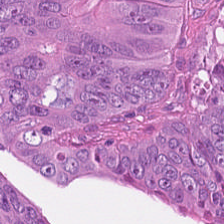Impression → colorectal adenocarcinoma.
